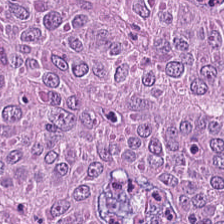Tissue type — colorectal adenocarcinoma.
